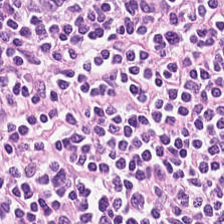Tissue class — lymphocytic infiltrate.
